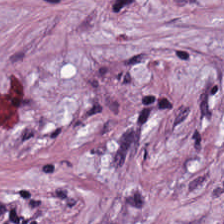Hematoxylin and eosin.
Impression → desmoplastic stroma.
